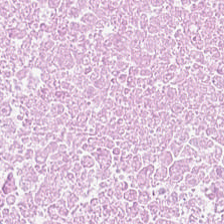Stain: H&E-stained tissue section.
Classification: debris.
